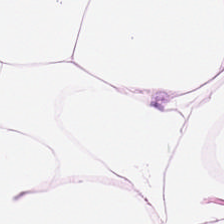0.5 µm per pixel · hematoxylin and eosin — The predominant tissue is adipose.
